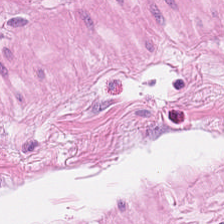H&E-stained tissue section showing muscularis.
